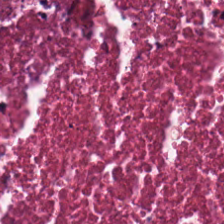H&E stain — Histology — debris.
